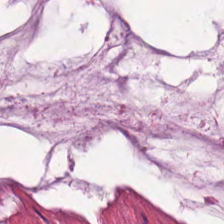Stain: hematoxylin and eosin.
Acquisition: whole-slide-image patch.
Tissue class: extracellular mucin.
